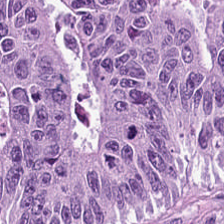Hematoxylin-and-eosin stained section.
Tissue type — colorectal adenocarcinoma.
